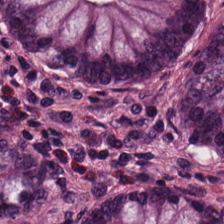224×224 px patch; 20× equivalent magnification; hematoxylin and eosin.
Q: What is shown here?
A: This is normal colon mucosa.
